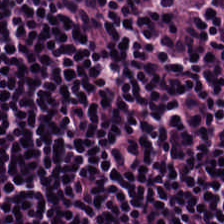Hematoxylin and eosin.
Predominantly lymphocyte aggregate.
